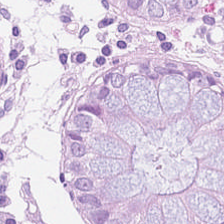Tissue type — normal colonic mucosa.
